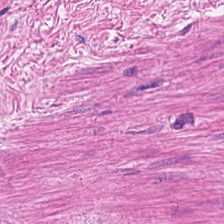Hematoxylin-and-eosin stained section — Tissue: smooth muscle.
